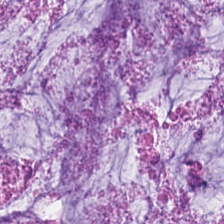Tissue type = mucin.
